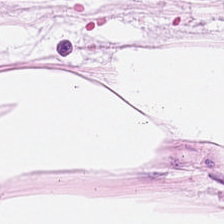Hematoxylin-and-eosin stained section — Q: What tissue is shown?
A: It is fat tissue.
